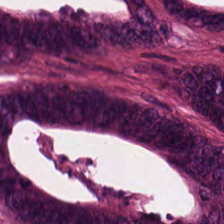Hematoxylin and eosin. Predominantly colorectal adenocarcinoma epithelium.
